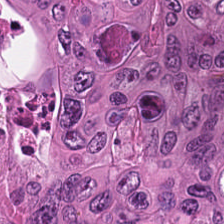Q: Identify the tissue.
A: Malignant epithelium.
